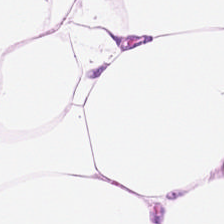Stain: H&E-stained tissue section.
Tissue: adipose.
